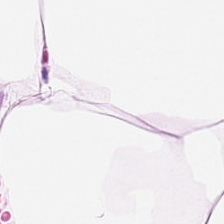H&E stain — Fat tissue.
